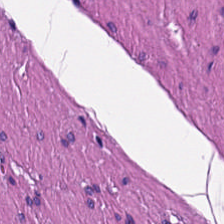{"tissue_type": "smooth muscle"}
